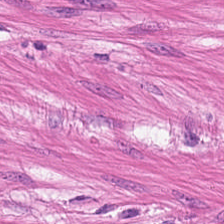H&E. Whole-slide-image patch.
Predominantly muscularis.
